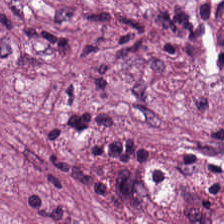H&E stain. Q: What is shown in this field?
A: This is tumor-associated stroma.
